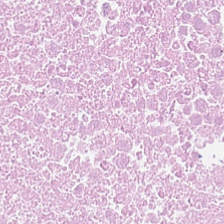H&E stain.
Tissue type = cellular debris.
